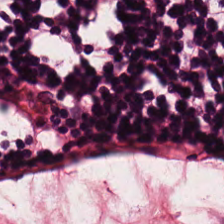Tissue class = lymphocytes.
